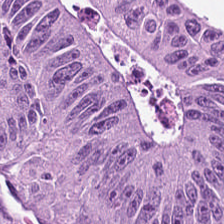Whole-slide-image patch; 224×224 pixel tile; H&E. Tissue type — adenocarcinoma.
